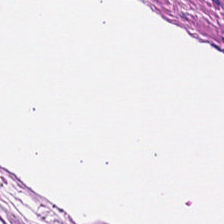Hematoxylin-and-eosin stained section. 224×224 px tile.
{"tissue_type": "muscularis"}
